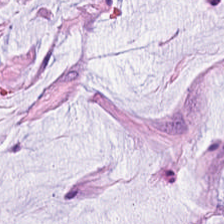Q: Identify the tissue.
A: This is mucus.
